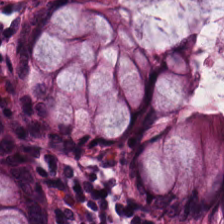H&E-stained tissue section — Tissue class = non-neoplastic colon mucosa.
